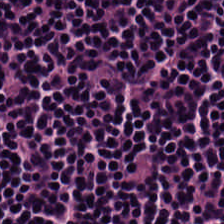Hematoxylin and eosin. Brightfield microscopy. This field is lymphocytes.
